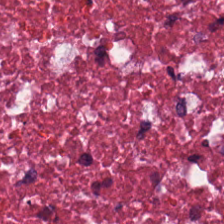H&E stain; 0.5 µm/px.
The tissue here is necrotic debris.
